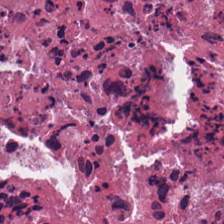Hematoxylin and eosin · 0.5 µm per pixel · WSI patch.
Impression → necrotic debris.
